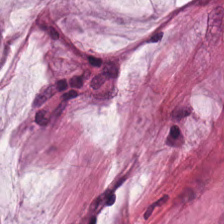Brightfield; H&E stain; 224×224 px patch — The tissue type is extracellular mucin.
